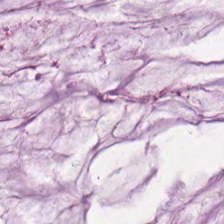0.5 microns per pixel. H&E stain — Predominantly mucin.
